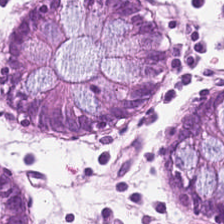H&E-stained tissue section.
This patch shows normal colonic mucosa.
